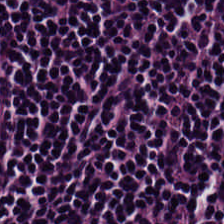0.5 µm/px. Hematoxylin and eosin. The tissue type is lymphoid infiltrate.
